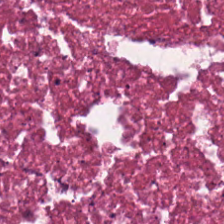Hematoxylin-and-eosin stained section — The tissue here is cellular debris.
